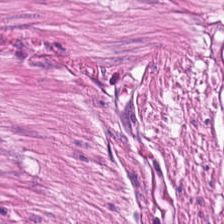Formalin-fixed paraffin-embedded section. H&E. Impression — smooth muscle.
